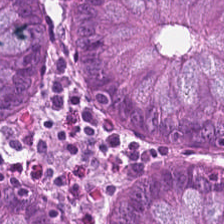Formalin-fixed paraffin-embedded section · H&E. Q: What type of tissue is this?
A: This is normal colonic mucosa.
